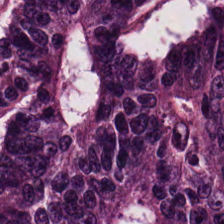H&E stain — Tissue class = tumor epithelium.
